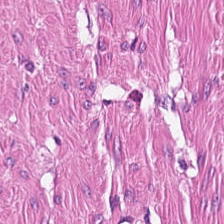Hematoxylin and eosin.
The predominant tissue is smooth muscle.
